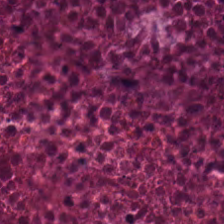H&E — debris.
